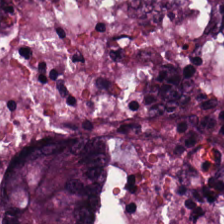224×224 px tile · 0.5 µm/px · hematoxylin-and-eosin stained section.
This field is colorectal adenocarcinoma.
